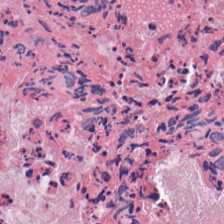H&E-stained tissue section.
The tissue here is cellular debris.
